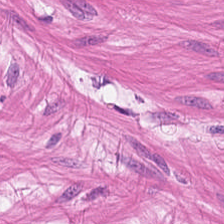H&E.
Predominant tissue — muscularis.
